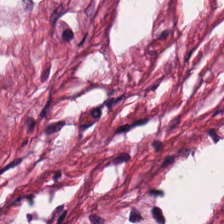H&E-stained tissue section · 224×224 px patch. Predominantly cancer-associated stroma.
